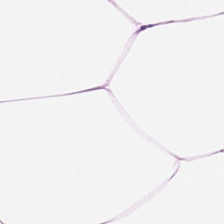H&E stain. Formalin-fixed paraffin-embedded section. Predominant tissue = adipocytes.
